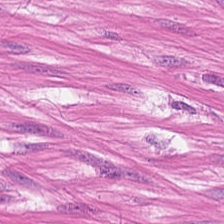This field is smooth-muscle tissue.
